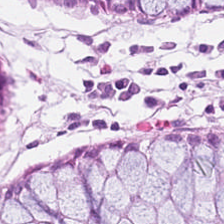Hematoxylin-and-eosin stained section · 224×224 pixel tile · brightfield.
The tissue here is normal colonic mucosa.
